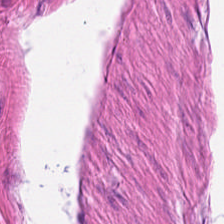H&E stain — Q: What is shown in this field?
A: It is smooth muscle.
